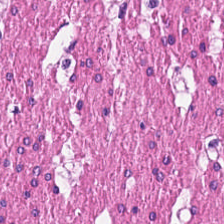H&E.
This patch shows smooth-muscle tissue.
